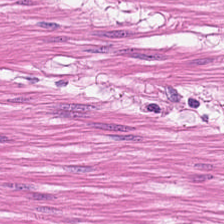Stain: H&E.
Tissue: smooth-muscle tissue.
